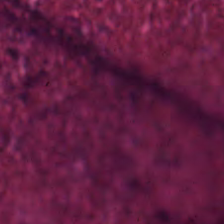0.5 µm/px; H&E stain.
Q: Classify this patch.
A: Debris.
